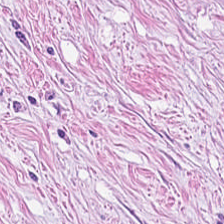This patch shows cancer-associated stroma.
